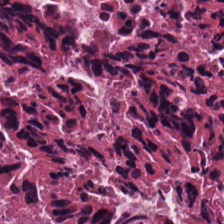Q: What does this patch show?
A: This is necrotic debris.
